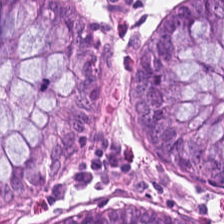Stain: hematoxylin and eosin.
Predominant tissue: normal colon mucosa.
